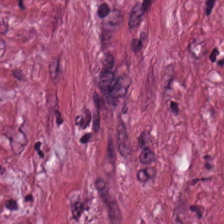Hematoxylin and eosin.
{"tissue_type": "desmoplastic stroma"}
